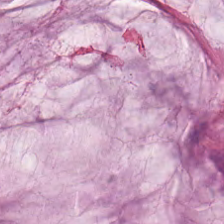H&E stain. 224×224 px tile. Classification: mucus.
